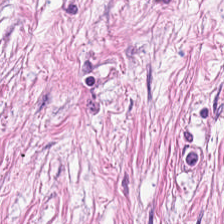Q: What type of tissue is this?
A: This is cancer-associated stroma.
